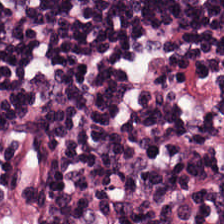This field is lymphoid infiltrate.
